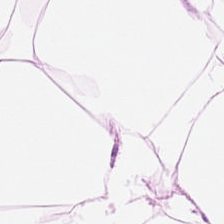H&E-stained tissue section. The predominant tissue is adipose.
